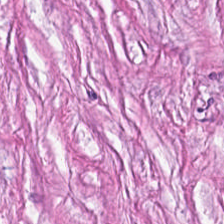H&E.
The classification is cancer-associated stroma.
